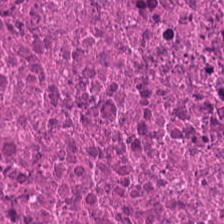H&E stain — Showing debris.
